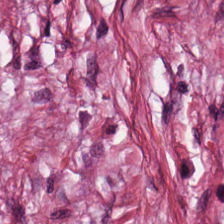Hematoxylin and eosin — Classification = tumor-associated stroma.
